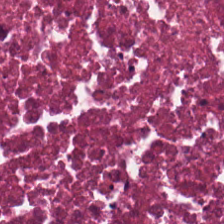Formalin-fixed paraffin-embedded section. Hematoxylin and eosin. Impression — necrotic debris.
